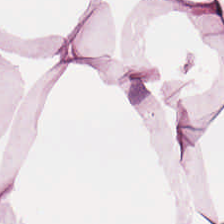Q: What is shown in this field?
A: Fat tissue.
